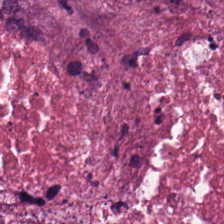Hematoxylin and eosin.
Q: What tissue type is shown here?
A: It is necrotic debris.
